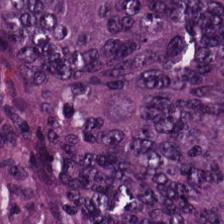FFPE; 224×224 px tile; H&E stain — The tissue here is tumor epithelium.
